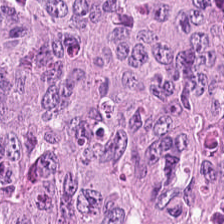Tissue type: adenocarcinoma.
